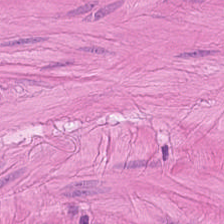Q: What does this patch show?
A: Smooth muscle.
